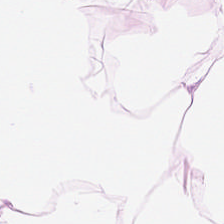H&E — adipose.
